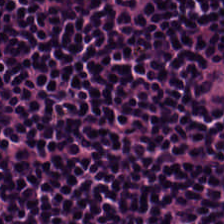H&E patch showing lymphocytic infiltrate.
